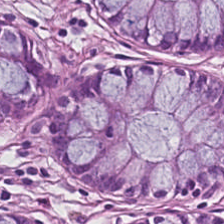This patch shows non-neoplastic colon mucosa.
